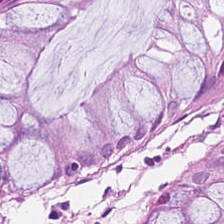Classification = benign colonic mucosa.
